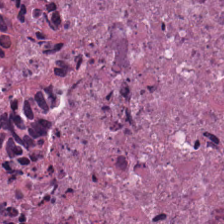Hematoxylin and eosin. Predominant tissue — debris.
